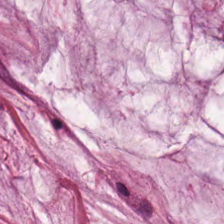224×224 pixel tile · hematoxylin and eosin.
Finding → mucus.
